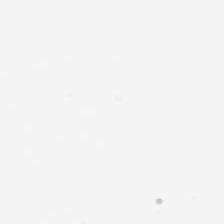No tissue present; background only.
